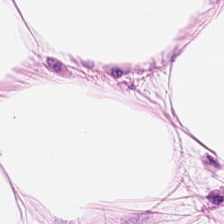Predominant tissue: adipocytes.
